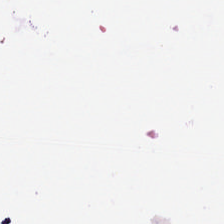H&E stain. Classification = background (no tissue).
